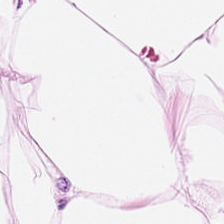H&E — Q: Identify the tissue.
A: The field shows fat tissue.
